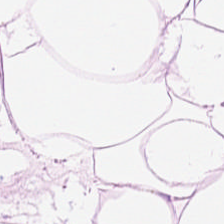Hematoxylin and eosin.
The tissue class is adipose.
